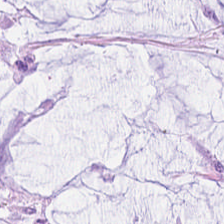H&E-stained tissue section.
Impression — extracellular mucin.
